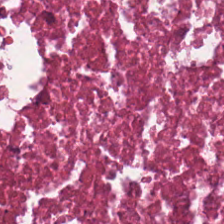H&E-stained tissue section — This field is debris.
